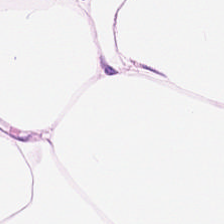Brightfield microscopy. H&E-stained tissue section. 224×224 px patch. Q: What is the predominant tissue type?
A: Adipocytes.
